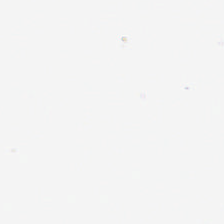H&E.
Finding — empty background.
